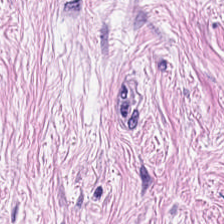WSI patch; H&E stain; formalin-fixed paraffin-embedded section.
{"tissue_type": "tumor stroma"}
